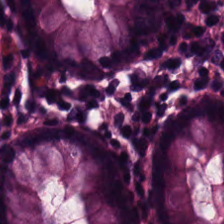H&E stain — This patch shows non-neoplastic colon mucosa.
